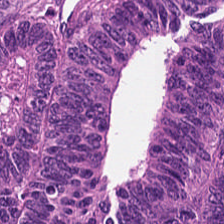H&E stain; whole-slide-image patch. The predominant tissue is adenocarcinoma.
